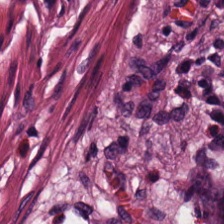Hematoxylin-and-eosin stained section · formalin-fixed paraffin-embedded section — Predominantly normal colon mucosa.
